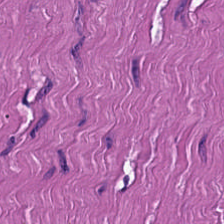Hematoxylin-and-eosin stained section — This patch shows smooth muscle.
